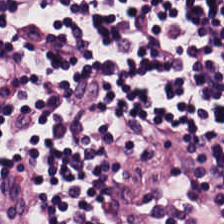Brightfield microscopy · hematoxylin and eosin · formalin-fixed paraffin-embedded section.
Q: What is shown here?
A: This is lymphocytic infiltrate.
